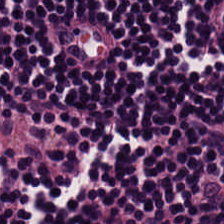The tissue class is lymphocytic infiltrate.
